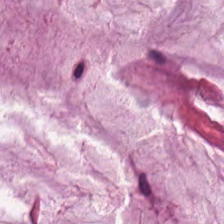Hematoxylin and eosin. Impression → extracellular mucin.
